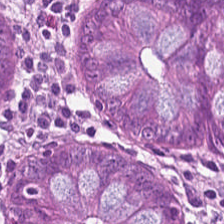Tissue class: normal colonic mucosa.
